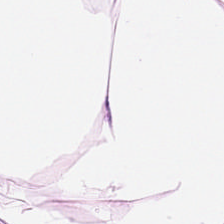H&E stain · FFPE tissue section.
Tissue class = adipocytes.
